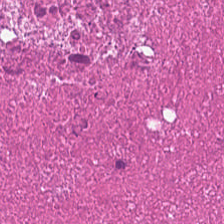Classification — cellular debris.
